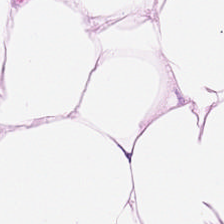20× equivalent magnification; H&E — {"tissue_type": "adipose"}
